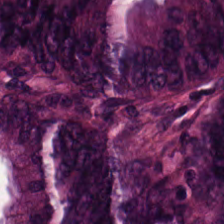{"tissue_type": "tumor epithelium"}
